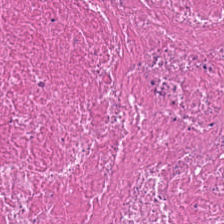Hematoxylin-and-eosin stained section · FFPE tissue section. Impression → cellular debris.
